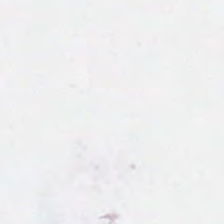Stain: hematoxylin-and-eosin stained section.
Field content: no tissue.
